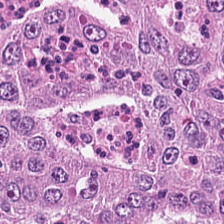H&E · 224×224 px tile. Showing adenocarcinoma.
